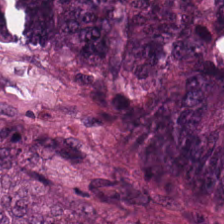Tissue class — adenocarcinoma.
